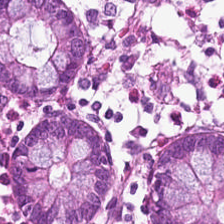Hematoxylin and eosin · FFPE tissue section · 20× equivalent magnification.
Tissue class — benign colonic mucosa.
